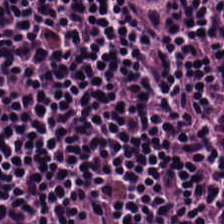H&E stain.
Classification = lymphocytes.
